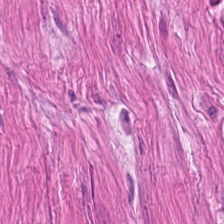Hematoxylin-and-eosin stained section.
This patch shows smooth-muscle tissue.
